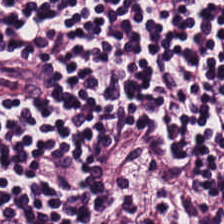H&E — lymphocyte aggregate.
